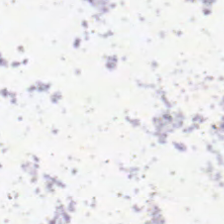Hematoxylin and eosin.
Field content: no tissue.
